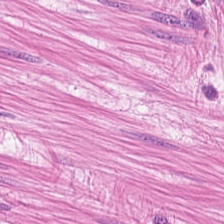Hematoxylin and eosin — Tissue class — smooth muscle.
